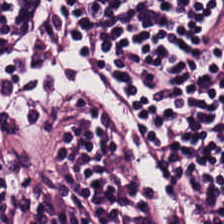The tissue type is lymphocyte aggregate.
